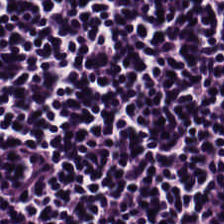Hematoxylin-and-eosin section: lymphocyte aggregate.
